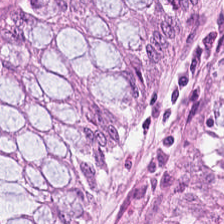Tissue type = non-neoplastic colon mucosa.
